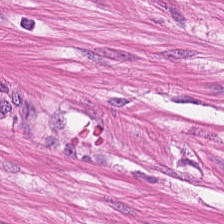H&E stain. The tissue type is smooth muscle.
